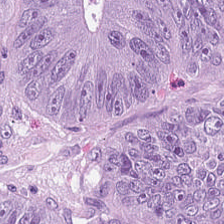H&E stain; FFPE; 0.5 microns per pixel. Predominant tissue = tumor epithelium.
